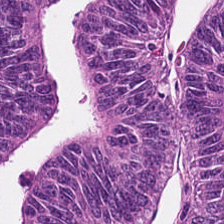H&E stain — Tissue — adenocarcinoma.
